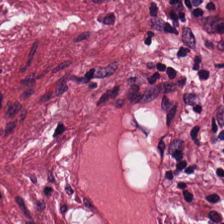Formalin-fixed paraffin-embedded section · hematoxylin and eosin · 0.5 µm/px — The predominant tissue is tumor-associated stroma.
